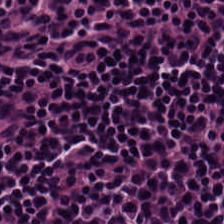Hematoxylin-and-eosin stained section. The predominant tissue is lymphocytes.
